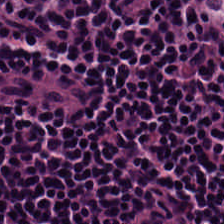H&E stain. Finding — lymphocytic infiltrate.
